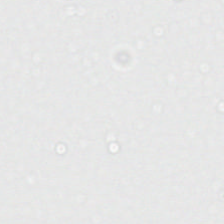Brightfield microscopy. 224×224 px tile. H&E.
Content: background.
